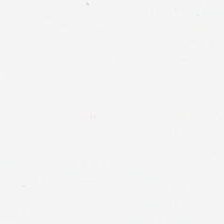WSI patch. H&E-stained tissue section.
Classification = background.
